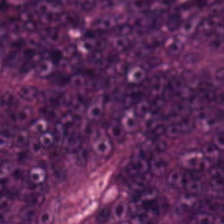224×224 pixel tile · H&E-stained tissue section — The tissue here is tumor epithelium.
